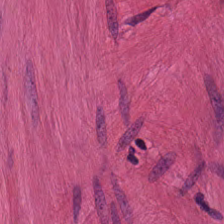0.5 microns per pixel. Hematoxylin and eosin. FFPE — The classification is smooth muscle.
